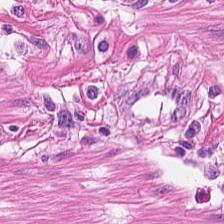Q: Identify the tissue.
A: It is smooth-muscle tissue.
